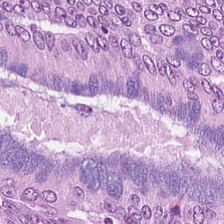The tissue class is tumor epithelium.
